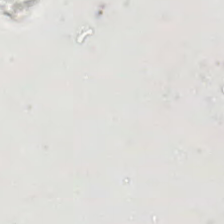H&E. Classification — background.
